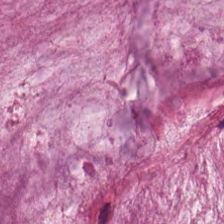H&E stain — Showing extracellular mucin.
